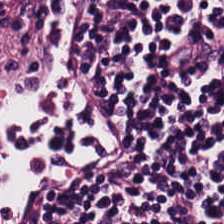224×224 px patch · H&E · FFPE.
This patch shows lymphocytes.
